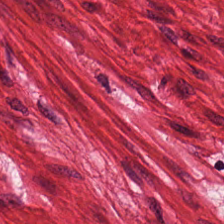H&E. 224×224 px patch. 0.5 µm per pixel — Tissue: smooth muscle.
